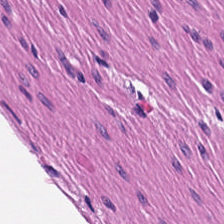Whole-slide-image patch. H&E. Classification: smooth-muscle tissue.
